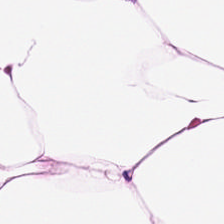0.5 µm per pixel. 224×224 px tile. Hematoxylin-and-eosin stained section.
Impression — adipocytes.
